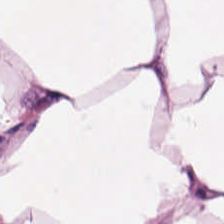H&E stain. This field is fat tissue.
